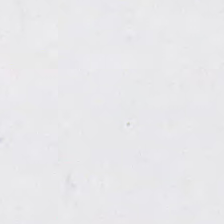Classification: background.
